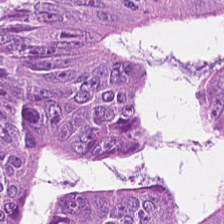H&E-stained tissue section — Tissue type — colorectal adenocarcinoma.
